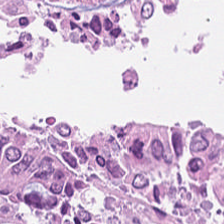H&E-stained tissue section · WSI patch — Q: What tissue is shown?
A: It is colorectal adenocarcinoma.
